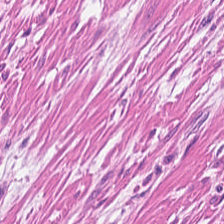Whole-slide-image patch; H&E-stained tissue section — This field is smooth-muscle tissue.
